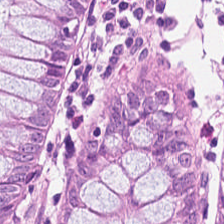Stain: hematoxylin-and-eosin stained section.
Acquisition: WSI patch.
Preparation: FFPE tissue section.
Predominant tissue: benign colonic mucosa.
